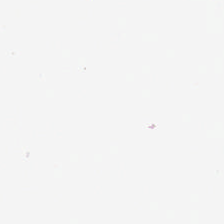H&E · brightfield microscopy — Q: What is shown here?
A: The field shows empty background.
